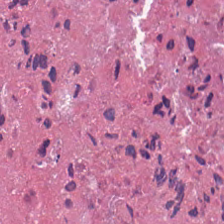H&E-stained tissue section. Q: Classify this patch.
A: It is debris.
